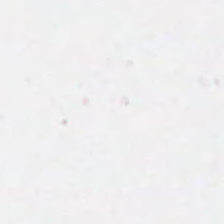Hematoxylin and eosin. 224×224 pixel tile. Q: What does this patch show?
A: It is no tissue.
